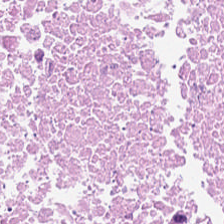Whole-slide-image patch · H&E stain · 20× equivalent magnification.
Cellular debris.
